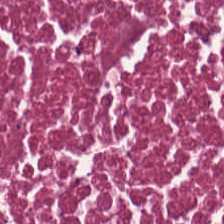FFPE; H&E-stained tissue section. Q: What does this patch show?
A: This is cellular debris.
